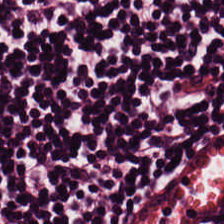Hematoxylin and eosin.
Q: What type of tissue is this?
A: Lymphocytic infiltrate.
